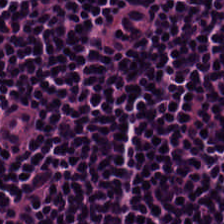H&E stain; brightfield. Classification = lymphocytes.
